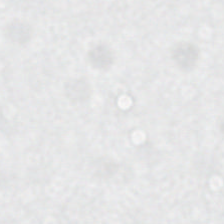Brightfield; H&E. The classification is background.
